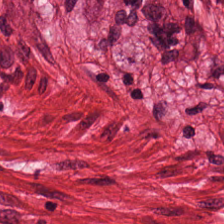This field is muscularis.
